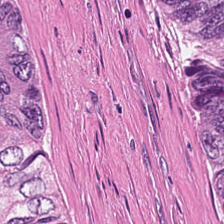Hematoxylin and eosin. 0.5 µm per pixel.
This patch shows necrotic debris.
